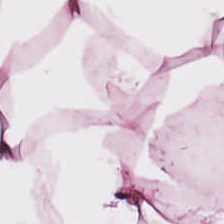H&E stain — Tissue = fat tissue.
